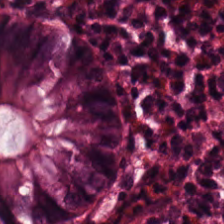Hematoxylin-and-eosin stained section. Formalin-fixed paraffin-embedded section. 224×224 px tile — Showing benign colonic mucosa.
